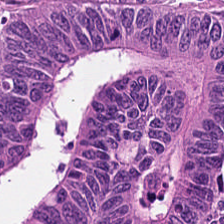Hematoxylin and eosin.
Tissue: malignant epithelium.
